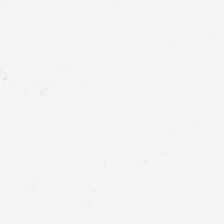Brightfield microscopy; H&E-stained tissue section. No tissue.
